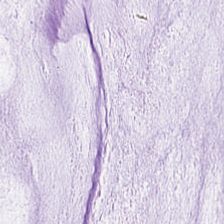H&E. Tissue class — extracellular mucin.
